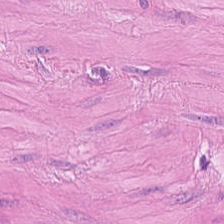H&E-stained tissue section. Q: What is the predominant tissue type?
A: This is smooth-muscle tissue.
